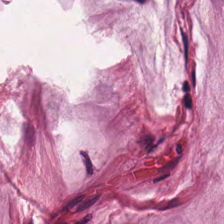Hematoxylin and eosin; 224×224 px tile; whole-slide-image patch.
Tissue = mucin.
